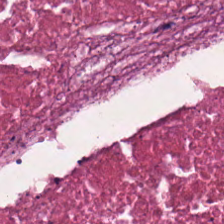0.5 µm/px; H&E; FFPE tissue section. Predominant tissue: necrotic debris.
